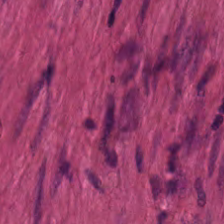The predominant tissue is muscularis.
